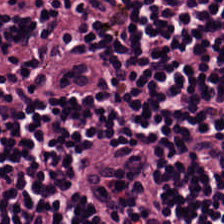H&E-stained tissue section.
The tissue here is lymphoid infiltrate.
